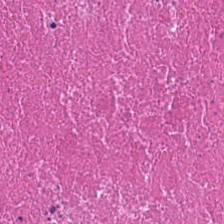H&E stain — Tissue type — necrotic debris.
